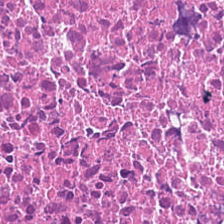H&E stain.
Q: Identify the tissue.
A: It is debris.
